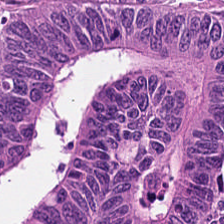Hematoxylin and eosin.
The tissue type is malignant epithelium.
